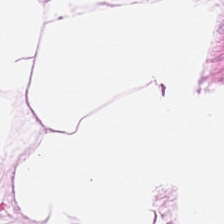H&E stain. Whole-slide-image patch. Formalin-fixed paraffin-embedded section.
{"tissue_type": "adipose"}
